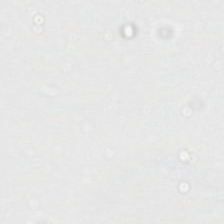FFPE tissue section. Hematoxylin and eosin.
Background — no tissue in this field.
